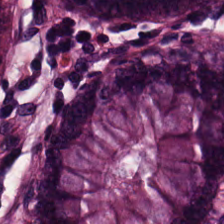Showing non-neoplastic colon mucosa.
